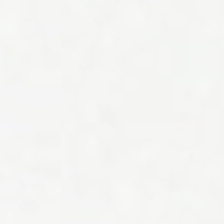Background.
